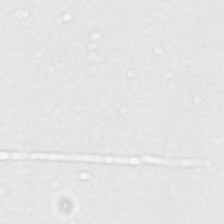H&E stain. 0.5 µm per pixel. Whole-slide-image patch — Finding — no tissue.
